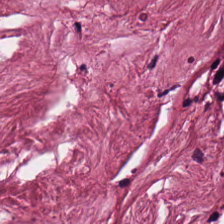224×224 pixel tile · hematoxylin and eosin. The tissue type is desmoplastic stroma.
